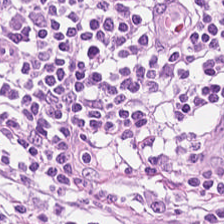Brightfield · H&E stain · 0.5 microns per pixel.
The tissue here is lymphocytic infiltrate.
